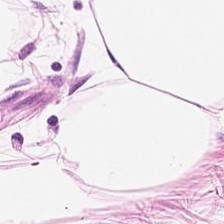Brightfield microscopy; H&E stain. The classification is adipocytes.
